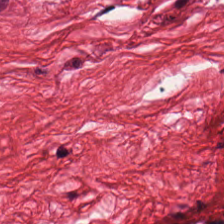Hematoxylin-and-eosin stained section. Brightfield microscopy.
Q: What is the predominant tissue type?
A: This is muscularis.
